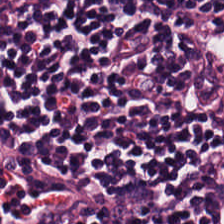224×224 px tile; hematoxylin and eosin.
Showing lymphocytic infiltrate.
